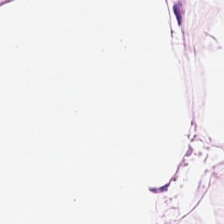0.5 µm per pixel; formalin-fixed paraffin-embedded section; H&E. Predominant tissue = fat tissue.
